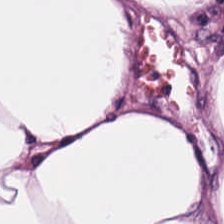Stain: H&E stain.
Acquisition: brightfield.
Tissue type: fat tissue.
